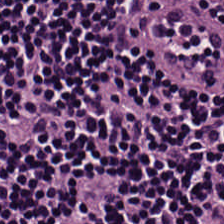H&E. 224×224 px patch. 0.5 microns per pixel. Predominant tissue = lymphocytic infiltrate.
